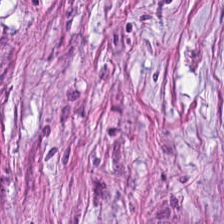H&E-stained tissue section. WSI patch. Showing cancer-associated stroma.
